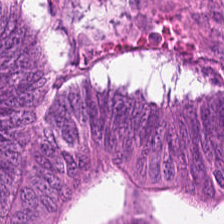Hematoxylin and eosin.
Adenocarcinoma.
